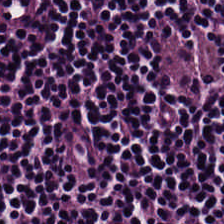This field is lymphocytic infiltrate.
